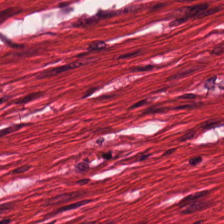H&E-stained tissue section — Smooth muscle.
